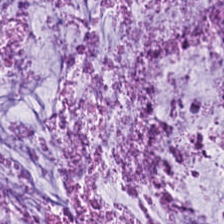H&E stain. This field is extracellular mucin.
